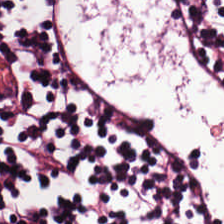Stain: H&E stain.
Tile size: 224×224 px tile.
Predominant tissue: lymphocytes.
